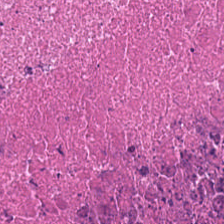Stain: H&E-stained tissue section.
Predominant tissue: debris.
